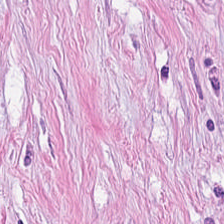The predominant tissue is tumor stroma.
